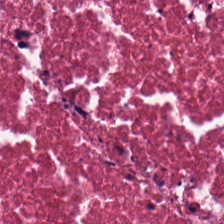Brightfield microscopy. H&E stain. Q: What does this patch show?
A: Necrotic debris.
